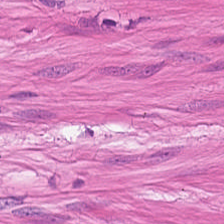H&E-stained tissue section. Tissue: smooth muscle.
